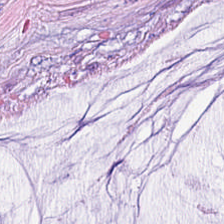Showing mucus.
